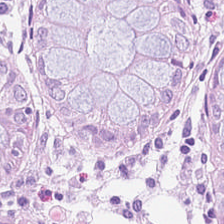Normal colon mucosa.
